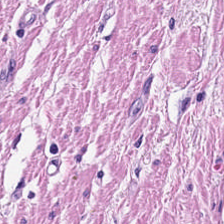H&E stain — Showing smooth muscle.
